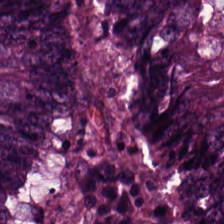Classification = tumor epithelium.
